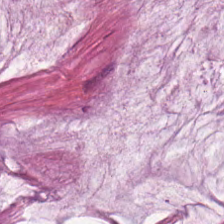H&E stain — Predominantly mucus.
